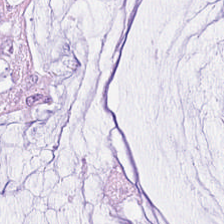Stain: H&E-stained tissue section.
Classification: mucin.
